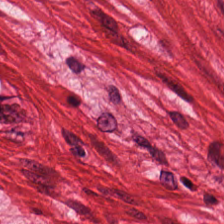Stain: hematoxylin and eosin.
Predominant tissue: smooth-muscle tissue.
